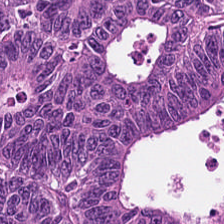Hematoxylin-and-eosin stained section; FFPE tissue section. This patch shows tumor epithelium.
